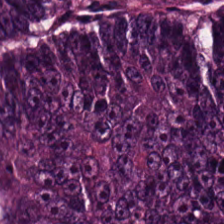H&E stain.
{"tissue_type": "colorectal adenocarcinoma epithelium"}
